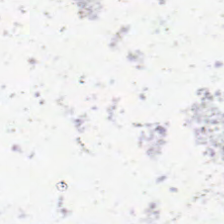H&E-stained tissue section.
Histology — empty background.
